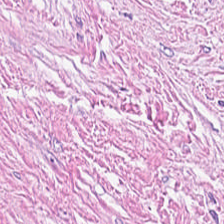0.5 µm per pixel. Hematoxylin-and-eosin stained section. FFPE tissue section.
Desmoplastic stroma.
